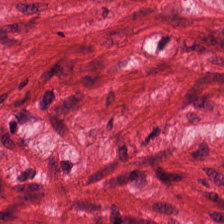H&E patch showing smooth-muscle tissue.
